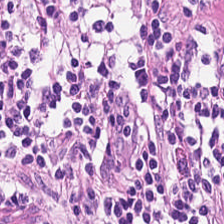Formalin-fixed paraffin-embedded section · H&E stain · 224×224 px tile.
{"tissue_type": "lymphocytic infiltrate"}
